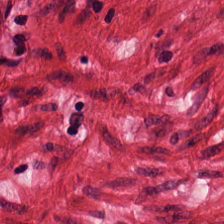Hematoxylin-and-eosin stained section. Smooth-muscle tissue.
